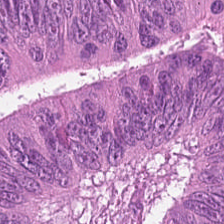The predominant tissue is colorectal adenocarcinoma epithelium.
